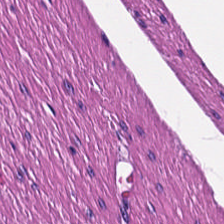0.5 microns per pixel; whole-slide-image patch; H&E-stained tissue section. The predominant tissue is smooth muscle.
